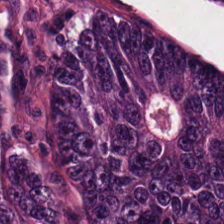Hematoxylin and eosin — This patch shows colorectal adenocarcinoma epithelium.
